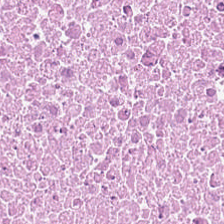H&E-stained tissue section — Finding — necrotic debris.
